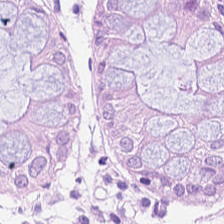Hematoxylin-and-eosin stained section. Finding → non-neoplastic colon mucosa.
